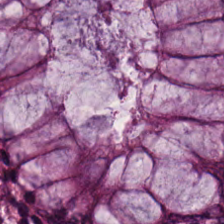H&E; formalin-fixed paraffin-embedded section; 0.5 microns per pixel. Classification = non-neoplastic colon mucosa.
